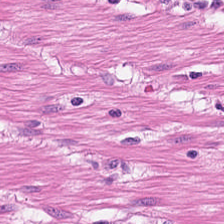224×224 px patch. Hematoxylin-and-eosin stained section. Predominant tissue — smooth-muscle tissue.
